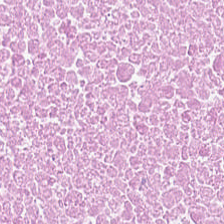Hematoxylin and eosin.
Tissue — necrotic debris.
